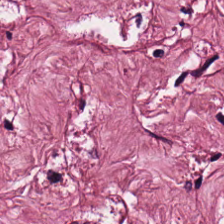H&E-stained tissue section. Histology — tumor-associated stroma.
